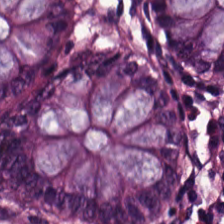H&E-stained tissue section · 0.5 microns per pixel.
{"tissue_type": "normal colon mucosa"}
